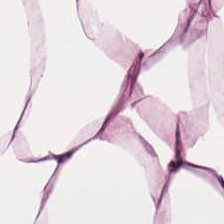H&E stain.
Q: Classify this patch.
A: The field shows adipose tissue.
